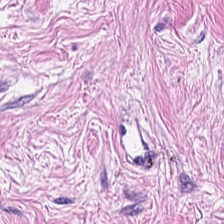Hematoxylin and eosin.
Q: What tissue type is shown here?
A: It is desmoplastic stroma.
